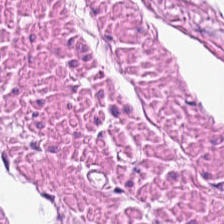0.5 µm per pixel. H&E-stained tissue section.
Tissue class = smooth-muscle tissue.
